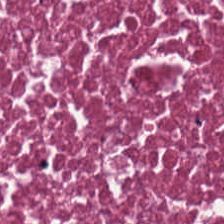H&E-stained tissue section. WSI patch. This field is necrotic debris.
